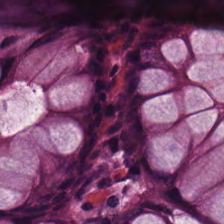H&E-stained tissue section. 224×224 pixel tile. Formalin-fixed paraffin-embedded section. This patch shows non-neoplastic colon mucosa.
